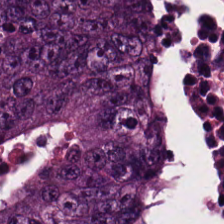This field is tumor epithelium.
